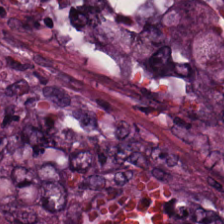Hematoxylin and eosin — Colorectal adenocarcinoma.
